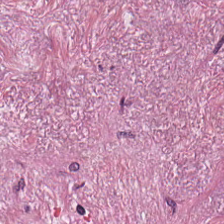FFPE; H&E — The tissue is tumor-associated stroma.
